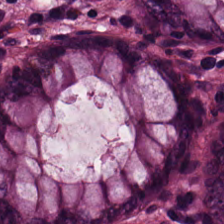Hematoxylin and eosin; FFPE tissue section; whole-slide-image patch.
Showing normal colon mucosa.
